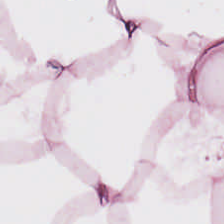H&E-stained tissue section. Adipose tissue.
